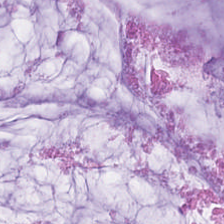H&E · FFPE tissue section — Q: Classify this patch.
A: Extracellular mucin.
